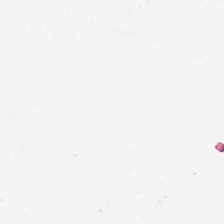Stain: hematoxylin-and-eosin stained section.
Content: background.
